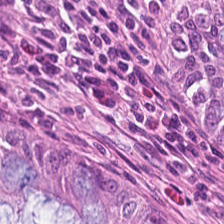{"tissue_type": "normal colonic mucosa"}
